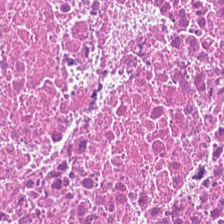H&E stain.
The tissue here is cellular debris.
